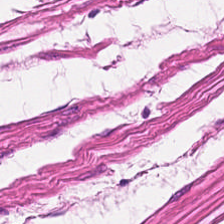H&E stain — This patch shows smooth muscle.
